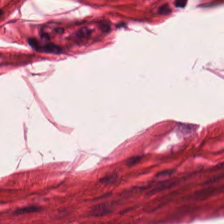H&E stain. 224×224 px patch.
The tissue class is muscularis.
